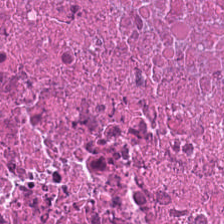H&E — debris.
